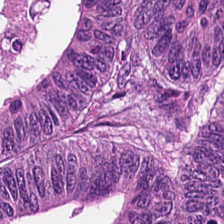Hematoxylin and eosin. {"tissue_type": "adenocarcinoma"}
